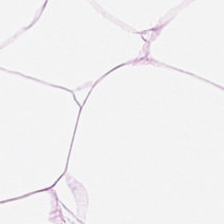H&E-stained tissue section.
{"tissue_type": "fat tissue"}
